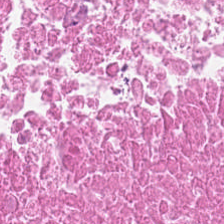Stain: hematoxylin and eosin.
Tissue: cellular debris.
